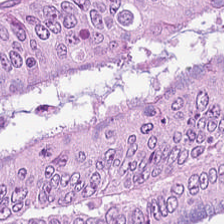H&E-stained tissue section. Predominantly tumor epithelium.
